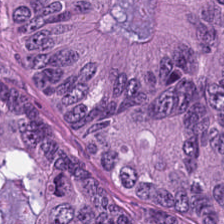H&E-stained tissue section.
This patch shows adenocarcinoma.
